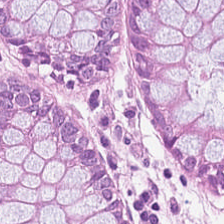Hematoxylin-and-eosin stained section · 20× equivalent magnification · formalin-fixed paraffin-embedded section.
Classification — benign colonic mucosa.
